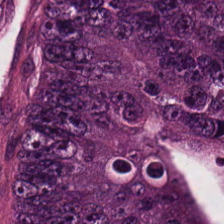Formalin-fixed paraffin-embedded section; H&E-stained tissue section — {"tissue_type": "colorectal adenocarcinoma epithelium"}
